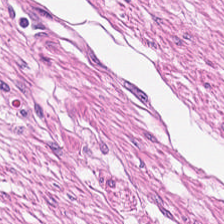224×224 pixel tile; whole-slide-image patch; H&E stain.
Tissue — smooth-muscle tissue.
